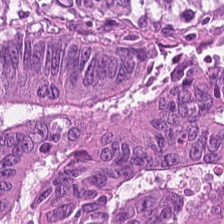H&E — Impression — colorectal adenocarcinoma epithelium.
